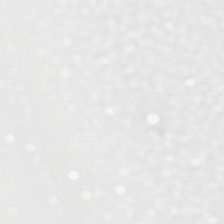Background — no tissue in this field.
